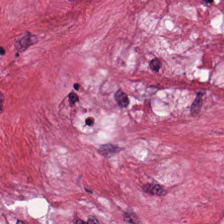H&E stain. 20× equivalent magnification. 224×224 px tile. Q: What tissue is shown?
A: Cancer-associated stroma.
